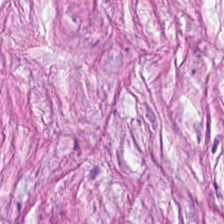Stain: H&E.
Tile size: 224×224 px tile.
Classification: tumor stroma.
